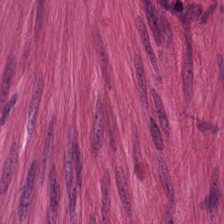H&E-stained tissue section. WSI patch. Impression → muscularis.
